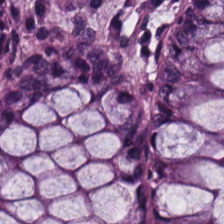Hematoxylin and eosin — The predominant tissue is non-neoplastic colon mucosa.
